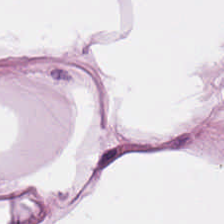Stain: H&E.
Tissue class: adipose.
